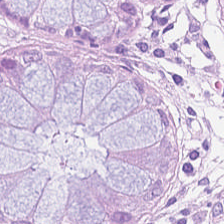H&E — non-neoplastic colon mucosa.
